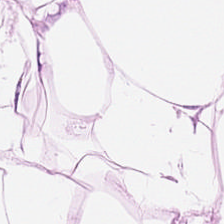20× equivalent magnification · H&E. The tissue is adipocytes.
